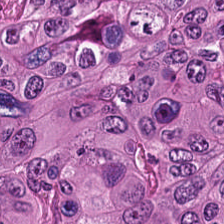H&E stain — Classification: adenocarcinoma.
